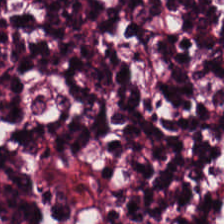Hematoxylin and eosin — Q: What type of tissue is this?
A: It is lymphocytic infiltrate.
